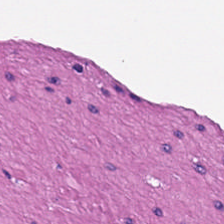H&E — Predominant tissue = smooth-muscle tissue.
